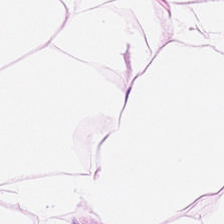Hematoxylin-and-eosin stained section. Adipose.
